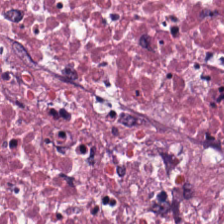Stain: H&E.
Acquisition: WSI patch.
Predominant tissue: debris.
